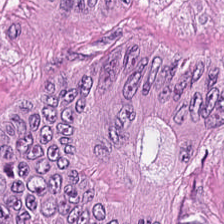H&E-stained section; the field shows colorectal adenocarcinoma epithelium.
